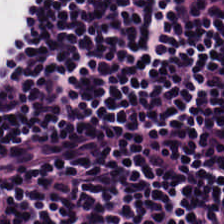Q: What type of tissue is this?
A: Lymphocytic infiltrate.
